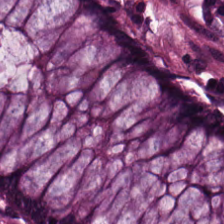This field is normal colonic mucosa.
